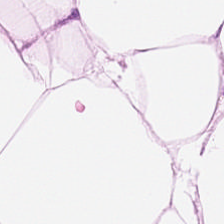Hematoxylin-and-eosin stained section. 0.5 microns per pixel. 224×224 px tile — Fat tissue.
